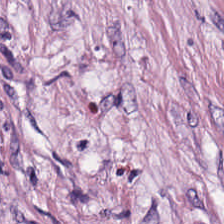Tissue — tumor-associated stroma.
